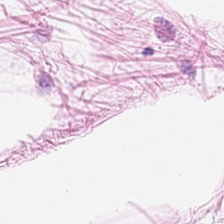H&E-stained tissue section. Predominantly adipocytes.
